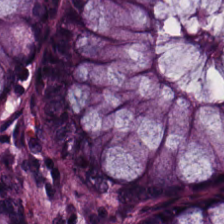Hematoxylin-and-eosin stained section; WSI patch. Histology — normal colonic mucosa.
